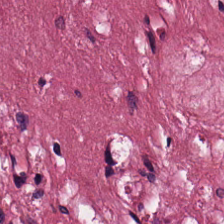Stain: H&E stain.
Tissue: tumor stroma.
